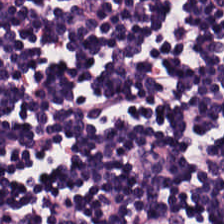Hematoxylin-and-eosin stained section — The predominant tissue is lymphoid infiltrate.
